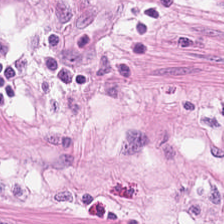H&E stain.
Q: What is the predominant tissue type?
A: It is smooth muscle.
